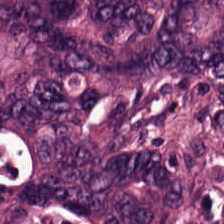H&E-stained tissue section — Predominantly colorectal adenocarcinoma epithelium.
